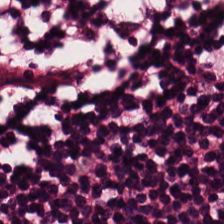H&E-stained tissue section.
Impression → lymphocytic infiltrate.
